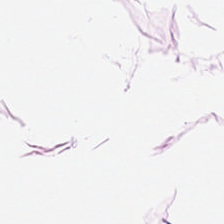224×224 px tile. H&E.
This field is fat tissue.
